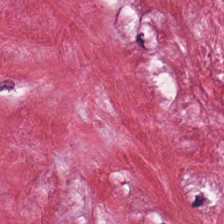H&E-stained tissue section.
The tissue here is tumor stroma.
